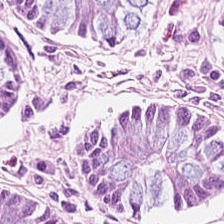Showing normal colonic mucosa.
